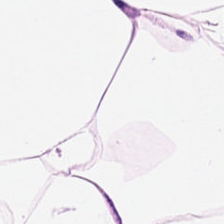H&E-stained tissue section.
Predominantly fat tissue.
